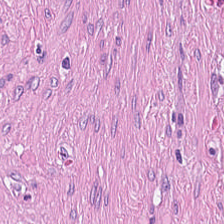0.5 µm per pixel · H&E stain. Predominantly cancer-associated stroma.
